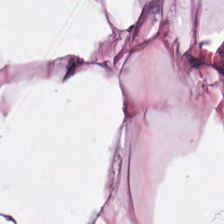Stain: H&E-stained tissue section.
Predominant tissue: fat tissue.
